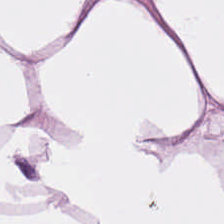H&E patch showing adipocytes.
